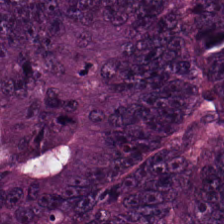Q: What tissue type is shown here?
A: The field shows colorectal adenocarcinoma.
